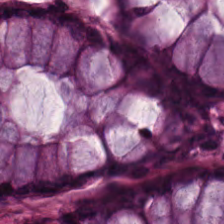Hematoxylin-and-eosin stained section.
The tissue here is normal colon mucosa.
